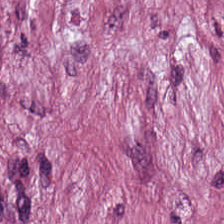Stain: H&E.
Tissue class: desmoplastic stroma.
